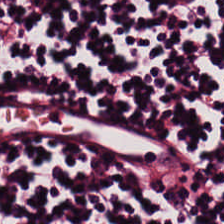Brightfield microscopy. Hematoxylin-and-eosin stained section — {"tissue_type": "lymphoid infiltrate"}
